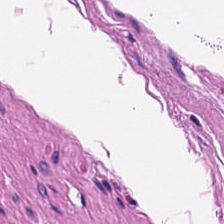Hematoxylin and eosin. This field is muscularis.
